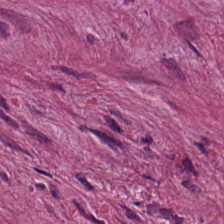Stain: H&E-stained tissue section.
Predominant tissue: tumor-associated stroma.
